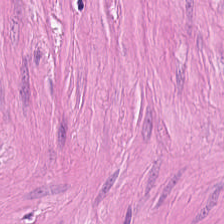Hematoxylin-and-eosin stained section — This patch shows muscularis.
